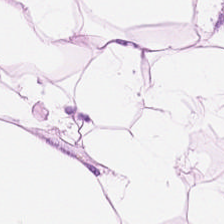Stain: H&E-stained tissue section.
Resolution: 0.5 µm per pixel.
Acquisition: WSI patch.
Predominant tissue: adipocytes.
